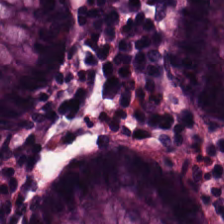0.5 microns per pixel · H&E-stained tissue section.
Tissue type: non-neoplastic colon mucosa.
